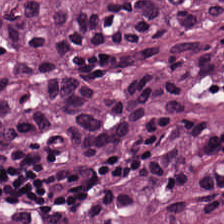Hematoxylin and eosin. FFPE tissue section.
This field is adenocarcinoma.
